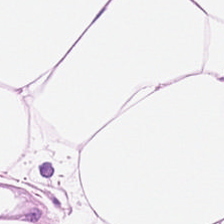Stain: H&E.
Predominant tissue: adipocytes.
